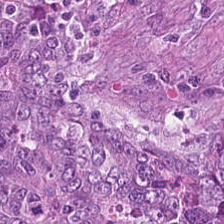224×224 pixel tile · H&E. Classification — colorectal adenocarcinoma epithelium.
